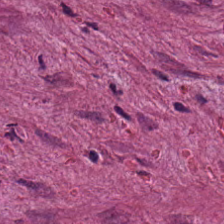Finding → desmoplastic stroma.
